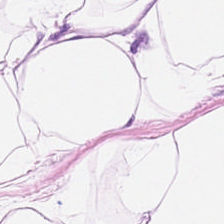Brightfield · hematoxylin-and-eosin stained section · 224×224 px tile — Adipocytes.
